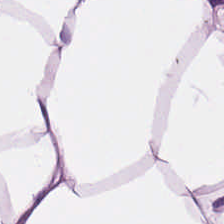Hematoxylin-and-eosin stained section — Tissue type — adipose.
